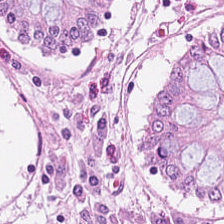Stain: hematoxylin-and-eosin stained section.
Resolution: 0.5 µm per pixel.
Tissue type: normal colonic mucosa.
